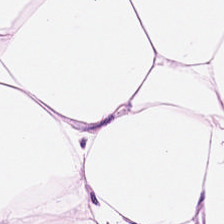Hematoxylin-and-eosin section: adipocytes.
